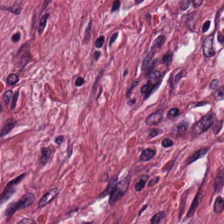Stain: H&E-stained tissue section.
Predominant tissue: cancer-associated stroma.
